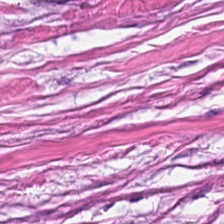Hematoxylin and eosin — This patch shows tumor-associated stroma.
